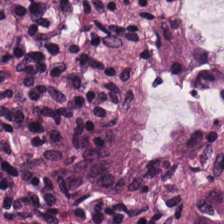Tissue class = normal colonic mucosa.
